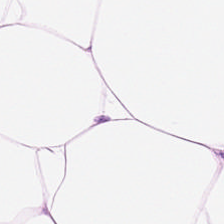Stain: hematoxylin-and-eosin stained section.
Tile size: 224×224 px tile.
Tissue class: adipocytes.
